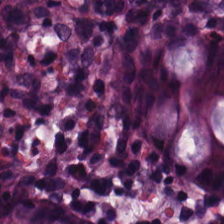0.5 microns per pixel · H&E-stained tissue section.
The tissue here is normal colonic mucosa.
